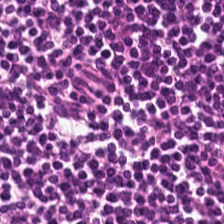Stain: H&E-stained tissue section.
Tile size: 224×224 px tile.
Tissue type: lymphocytes.
